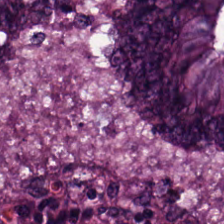H&E-stained tissue section. Tumor epithelium.
